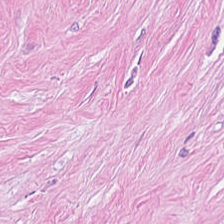20× equivalent magnification · H&E stain — This patch shows tumor-associated stroma.
